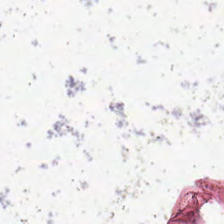H&E-stained tissue section — The content is background (no tissue).
